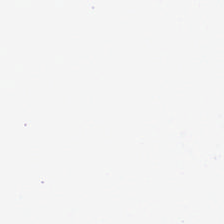H&E · 224×224 px patch · FFPE — Q: What is shown in this field?
A: This is empty background.
